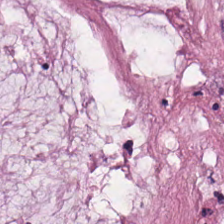Predominantly mucus.
